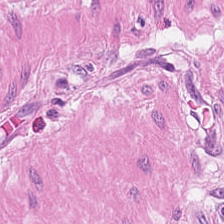Histology → smooth-muscle tissue.
